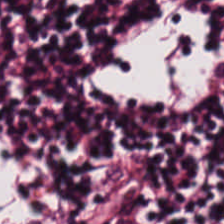0.5 µm per pixel · H&E-stained tissue section.
This patch shows lymphocyte aggregate.
